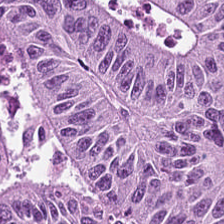H&E. FFPE. Tissue type = malignant epithelium.
